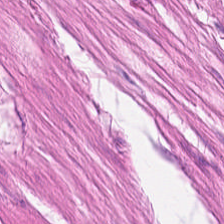Hematoxylin-and-eosin section: muscularis.
